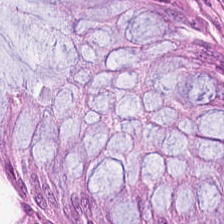Hematoxylin-and-eosin stained section — Tissue class — non-neoplastic colon mucosa.
